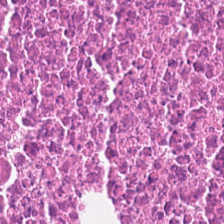H&E. This field is debris.
